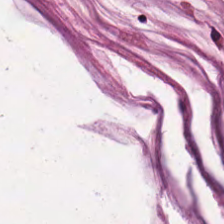Classification: mucus.
